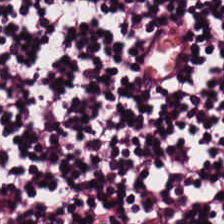224×224 px tile · 0.5 µm/px · H&E-stained tissue section. This field is lymphoid infiltrate.
